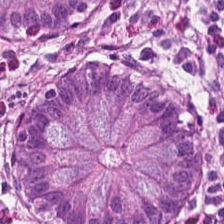WSI patch · 224×224 px tile · hematoxylin and eosin — Q: What type of tissue is this?
A: This is normal colonic mucosa.
